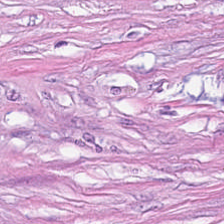H&E stain — Classification = cancer-associated stroma.
